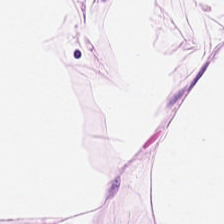Q: What does this patch show?
A: The field shows fat tissue.
